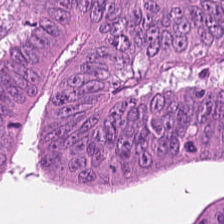Q: What is shown here?
A: It is adenocarcinoma.
